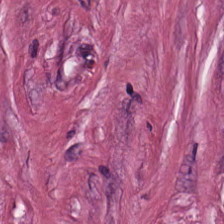H&E; 20× equivalent magnification; formalin-fixed paraffin-embedded section.
Predominantly tumor stroma.
